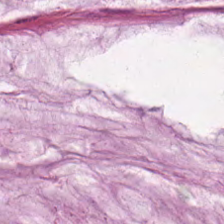0.5 microns per pixel; hematoxylin and eosin.
The tissue type is mucus.
